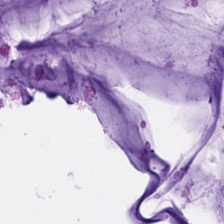224×224 pixel tile. H&E-stained tissue section. FFPE. The predominant tissue is mucin.
